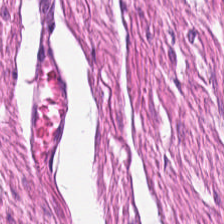224×224 pixel tile. H&E stain — Finding → smooth muscle.
